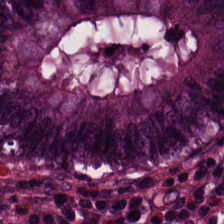Hematoxylin-and-eosin stained section; 224×224 pixel tile. The predominant tissue is non-neoplastic colon mucosa.
